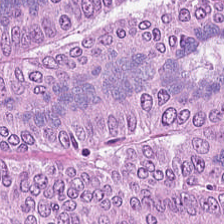Formalin-fixed paraffin-embedded section · brightfield microscopy · H&E. Showing colorectal adenocarcinoma epithelium.
